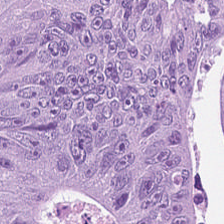Hematoxylin and eosin — The classification is colorectal adenocarcinoma.
